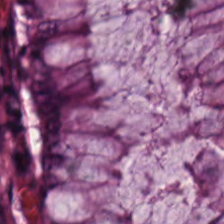FFPE · H&E · 224×224 px tile. Q: What is shown in this field?
A: It is normal colon mucosa.
